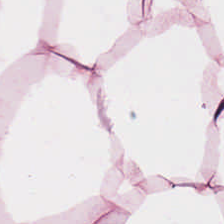H&E stain. The predominant tissue is adipocytes.
